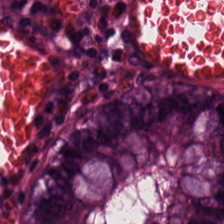H&E stain.
This patch shows non-neoplastic colon mucosa.
